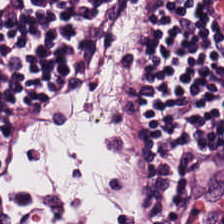H&E stain — Lymphoid infiltrate.
